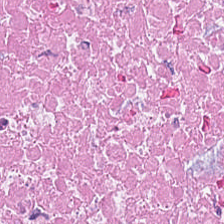H&E stain — This field is necrotic debris.
